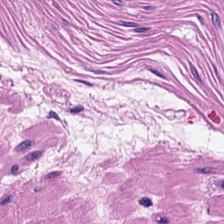Brightfield microscopy; H&E stain — The tissue type is smooth muscle.
